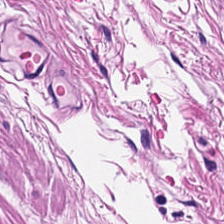Finding — smooth muscle.
